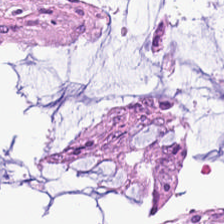Stain: H&E-stained tissue section.
Resolution: 20× equivalent magnification.
Classification: normal colon mucosa.
